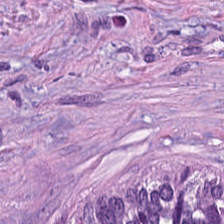{"tissue_type": "tumor-associated stroma"}
